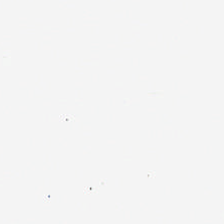This field is background (no tissue).
